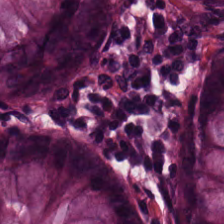H&E stain. Benign colonic mucosa.
